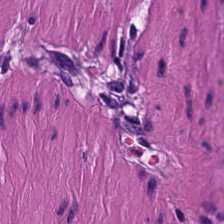Stain: hematoxylin and eosin.
Classification: muscularis.
